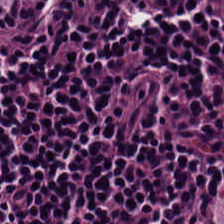H&E stain · whole-slide-image patch — Impression → lymphocyte aggregate.
